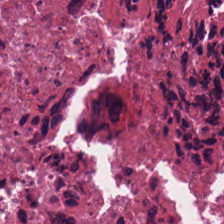FFPE tissue section. 0.5 µm/px. Hematoxylin and eosin.
Q: What is the predominant tissue type?
A: It is cellular debris.
